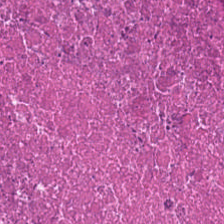H&E stain.
Predominant tissue = necrotic debris.
